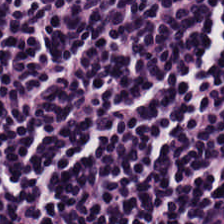{"tissue_type": "lymphocyte aggregate"}
